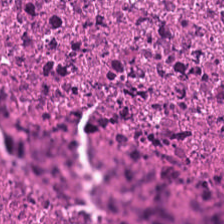0.5 µm per pixel; hematoxylin and eosin; WSI patch — Showing debris.
